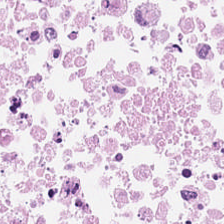H&E-stained tissue section — Predominantly necrotic debris.
